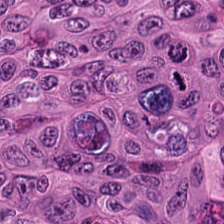Hematoxylin and eosin; 0.5 µm per pixel.
Histology → adenocarcinoma.
